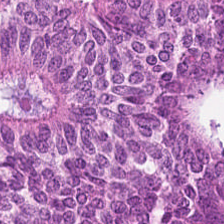H&E stain.
This patch shows adenocarcinoma.
